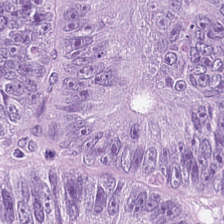Stain: H&E stain.
Tissue class: colorectal adenocarcinoma.
